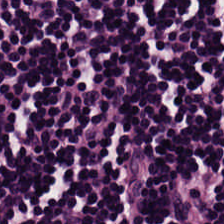0.5 microns per pixel · H&E-stained tissue section. Showing lymphocytes.
